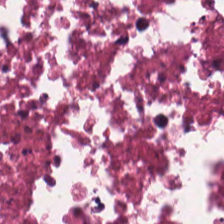This field is debris.
